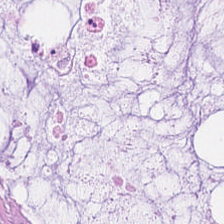WSI patch · 224×224 px tile · H&E stain.
The predominant tissue is mucin.
